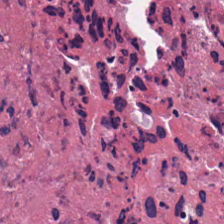Histology — cellular debris.
